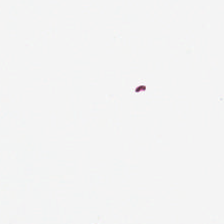WSI patch · hematoxylin-and-eosin stained section. Background — no tissue in this field.
